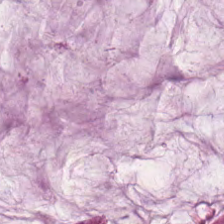H&E stain. Predominantly mucus.
